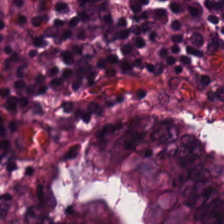Hematoxylin-and-eosin section: normal colon mucosa.
